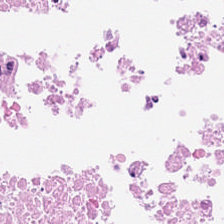H&E stain.
The tissue here is necrotic debris.
